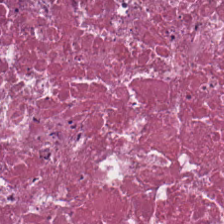Hematoxylin and eosin. Histology — debris.
